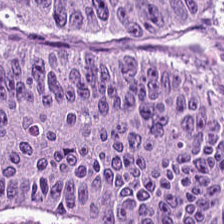H&E stain · 0.5 microns per pixel · 224×224 px patch. The classification is tumor epithelium.
